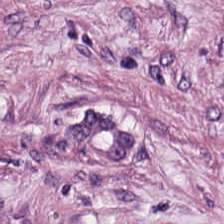Showing tumor stroma.
